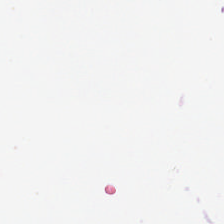Hematoxylin-and-eosin stained section. 20× equivalent magnification. No tissue.
